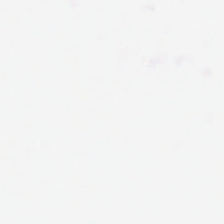The content is no tissue.
